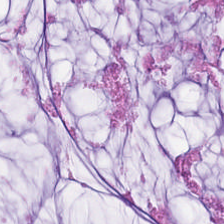20× equivalent magnification; 224×224 pixel tile; H&E.
Showing mucin.
